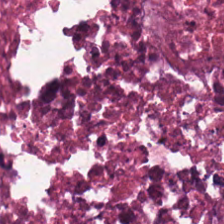H&E stain; formalin-fixed paraffin-embedded section; WSI patch — This patch shows necrotic debris.
